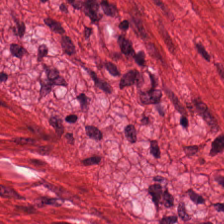H&E. Impression — muscularis.
